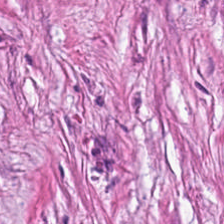H&E-stained tissue section; whole-slide-image patch; 20× equivalent magnification.
Finding — cancer-associated stroma.
